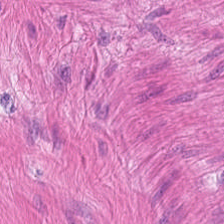H&E stain · 0.5 µm per pixel — This patch shows smooth muscle.
